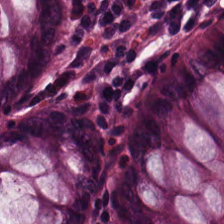Stain: hematoxylin-and-eosin stained section.
Predominant tissue: normal colon mucosa.
